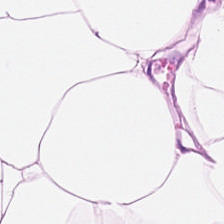Whole-slide-image patch · hematoxylin-and-eosin stained section.
This field is adipose tissue.
